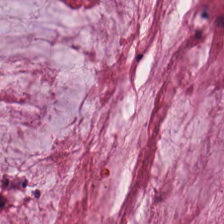Formalin-fixed paraffin-embedded section. Hematoxylin and eosin. Impression — mucin.
